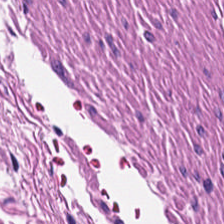H&E stain — Q: What does this patch show?
A: It is smooth muscle.
